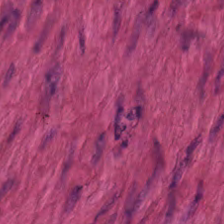H&E-stained tissue section — {"tissue_type": "smooth-muscle tissue"}
